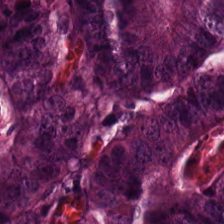FFPE tissue section; H&E stain.
Predominantly colorectal adenocarcinoma.
